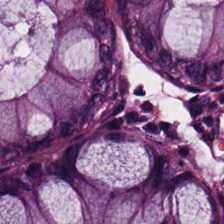H&E-stained tissue section. Finding → normal colonic mucosa.
